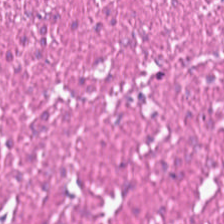Hematoxylin-and-eosin stained section.
Showing muscularis.
